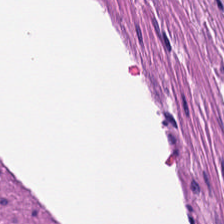Stain: H&E stain.
Classification: muscularis.
